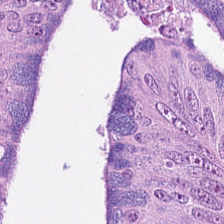H&E-stained tissue section; 20× equivalent magnification — Q: What tissue type is shown here?
A: Tumor epithelium.
